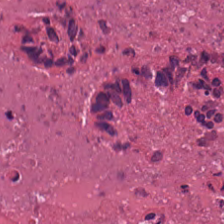Hematoxylin and eosin; brightfield microscopy. Showing necrotic debris.
